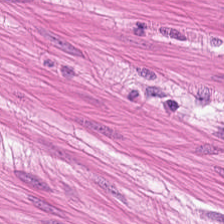WSI patch. H&E stain. The predominant tissue is muscularis.
